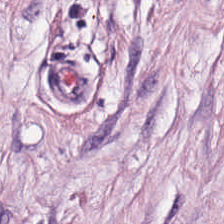H&E — This field is desmoplastic stroma.
